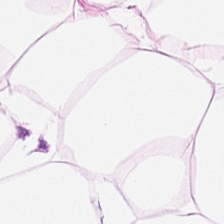H&E — The tissue here is adipocytes.
